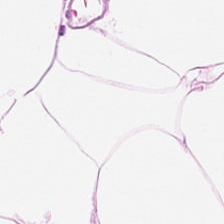Hematoxylin and eosin. Showing fat tissue.
